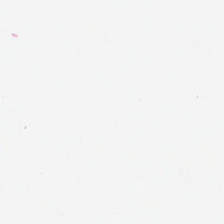H&E stain — Field content — background.
